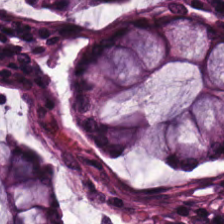Finding — normal colon mucosa.
